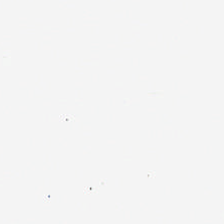Hematoxylin and eosin — Classification — background.
